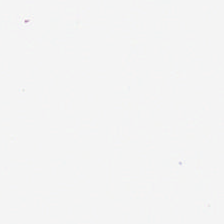No tissue present; background only.
